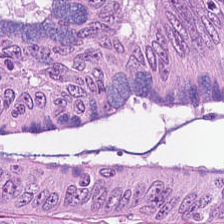Hematoxylin-and-eosin stained section — The classification is adenocarcinoma.
